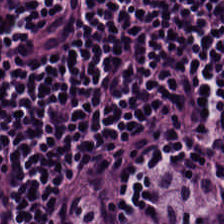Hematoxylin-and-eosin stained section. Q: Identify the tissue.
A: Lymphocytes.
